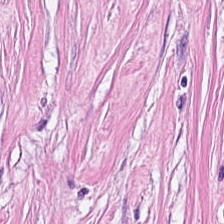Histology — cancer-associated stroma.
